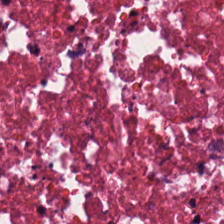Hematoxylin-and-eosin stained section.
This patch shows necrotic debris.
